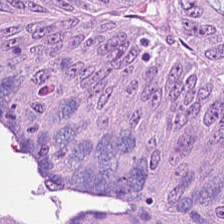0.5 microns per pixel; hematoxylin-and-eosin stained section. This patch shows colorectal adenocarcinoma epithelium.
